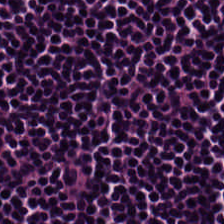Finding — lymphocytes.
